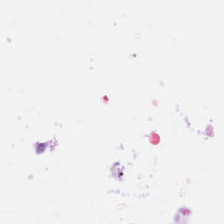Whole-slide-image patch. H&E-stained tissue section. Formalin-fixed paraffin-embedded section. Empty background.
